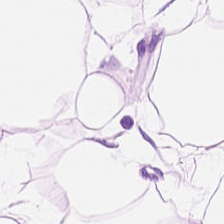H&E — Adipose tissue.
